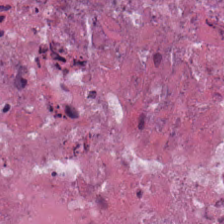H&E-stained tissue section — Showing necrotic debris.
